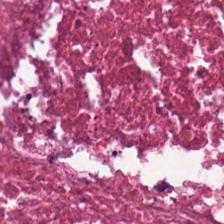224×224 px patch; whole-slide-image patch; hematoxylin and eosin.
Finding — debris.
